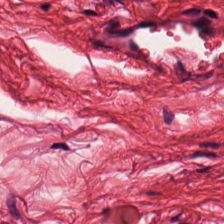Classification = muscularis.
